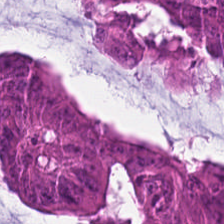FFPE tissue section. Hematoxylin and eosin — Tissue — colorectal adenocarcinoma epithelium.
